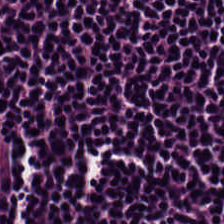Q: What tissue type is shown here?
A: It is lymphocyte aggregate.
